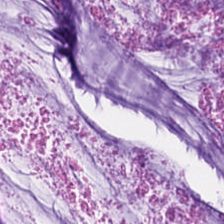Brightfield; 0.5 µm/px; H&E — Classification = mucin.
